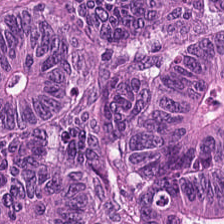Whole-slide-image patch; formalin-fixed paraffin-embedded section; H&E stain — Classification = colorectal adenocarcinoma.
